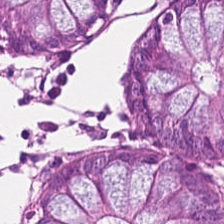H&E stain. The tissue here is normal colonic mucosa.
